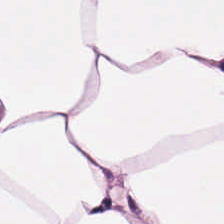Stain: hematoxylin-and-eosin stained section.
Tissue class: adipose.
